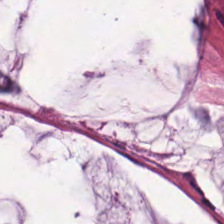Histology — mucus.
